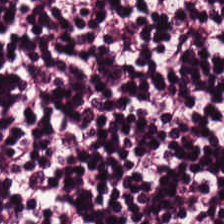Hematoxylin and eosin — Showing lymphocyte aggregate.
